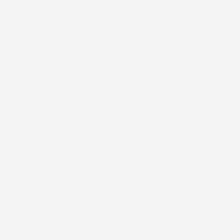Stain: H&E-stained tissue section.
Acquisition: brightfield microscopy.
Field content: no tissue.
